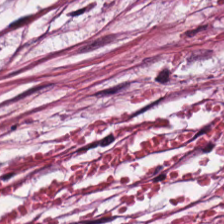224×224 px tile · hematoxylin-and-eosin stained section · 0.5 µm per pixel.
Cancer-associated stroma.
